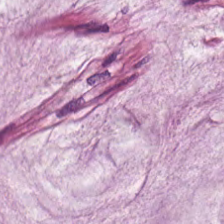FFPE · hematoxylin-and-eosin stained section · brightfield — This field is mucin.
